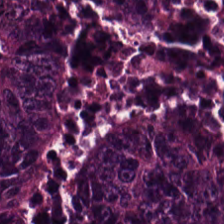Malignant epithelium.
